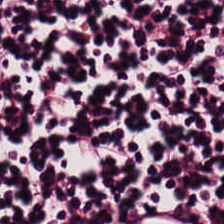Hematoxylin and eosin. {"tissue_type": "lymphocytes"}
